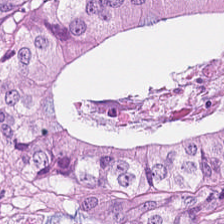H&E stain. The tissue is colorectal adenocarcinoma.
